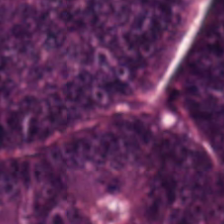H&E stain — Histology — tumor epithelium.
